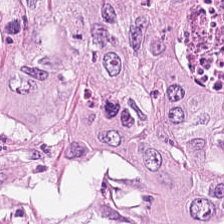Stain: hematoxylin and eosin.
Classification: colorectal adenocarcinoma.
